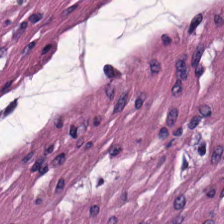Hematoxylin and eosin — Classification — smooth-muscle tissue.
